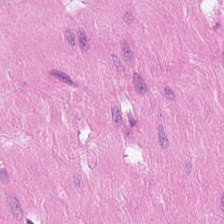Stain: hematoxylin and eosin.
Tile size: 224×224 px tile.
Preparation: FFPE tissue section.
Predominant tissue: smooth-muscle tissue.
